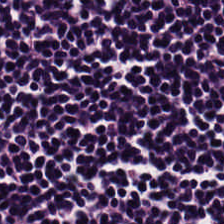H&E-stained tissue section · 20× equivalent magnification.
Predominant tissue = lymphocytes.
